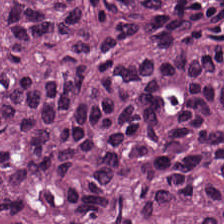H&E; WSI patch.
The tissue class is adenocarcinoma.
